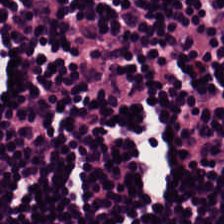Stain: H&E-stained tissue section.
Tissue class: lymphocytic infiltrate.
